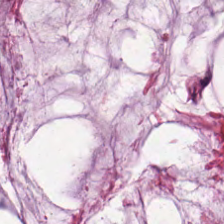224×224 px patch · H&E stain · FFPE tissue section. This patch shows mucin.
